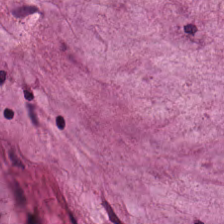224×224 px patch; hematoxylin-and-eosin stained section; 0.5 microns per pixel.
Q: What tissue type is shown here?
A: The field shows mucus.
